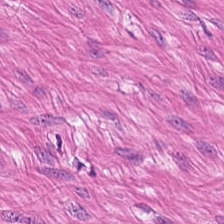H&E-stained tissue section — Showing muscularis.
